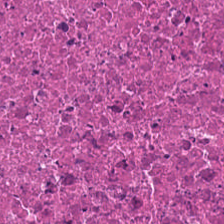H&E-stained section; the field shows necrotic debris.
